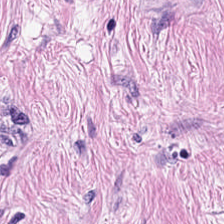224×224 px patch. Hematoxylin and eosin — The tissue is desmoplastic stroma.
